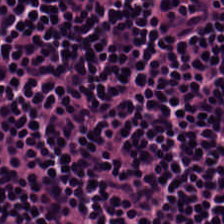H&E stain. FFPE. Classification — lymphocytes.
